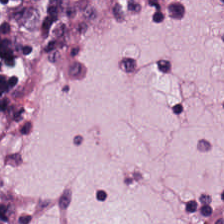H&E-stained tissue section. 224×224 px patch. Impression → lymphocyte aggregate.
